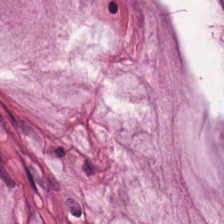Stain: H&E-stained tissue section.
Tissue class: mucin.
